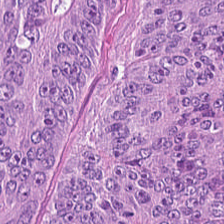Q: Classify this patch.
A: The field shows colorectal adenocarcinoma.
